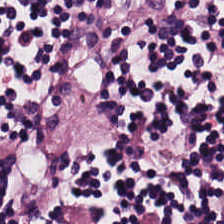224×224 px patch. H&E-stained tissue section — The predominant tissue is lymphoid infiltrate.
